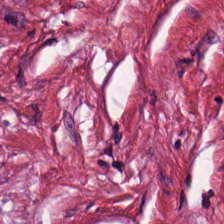H&E-stained tissue section showing desmoplastic stroma.
